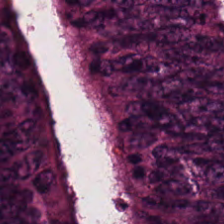H&E stain; 0.5 microns per pixel; FFPE.
Tissue type = tumor epithelium.
